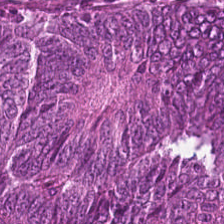Hematoxylin-and-eosin stained section.
The tissue here is colorectal adenocarcinoma epithelium.
